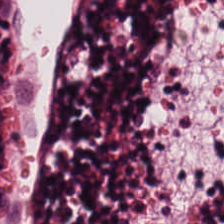Hematoxylin and eosin.
Q: What is shown in this field?
A: It is lymphocytic infiltrate.
